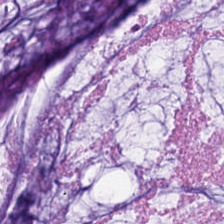H&E. Q: What is shown in this field?
A: The field shows extracellular mucin.
